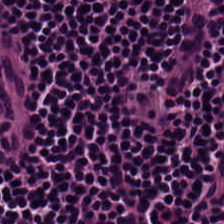Stain: H&E-stained tissue section.
Acquisition: WSI patch.
Tile size: 224×224 px patch.
Tissue: lymphocytes.
